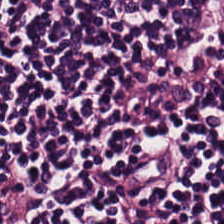WSI patch; H&E-stained tissue section; 20× equivalent magnification — Classification — lymphoid infiltrate.
